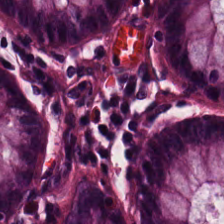H&E-stained tissue section. This field is normal colon mucosa.
